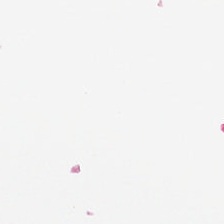Histology — empty background.
